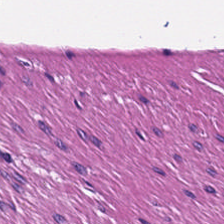H&E — This patch shows muscularis.
